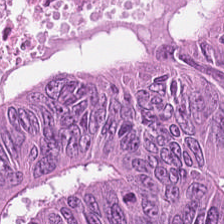WSI patch; hematoxylin and eosin — {"tissue_type": "colorectal adenocarcinoma epithelium"}
